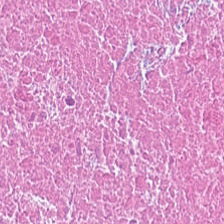H&E; WSI patch — Finding → debris.
